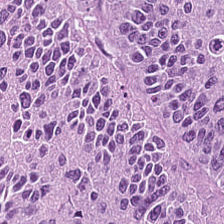H&E. The tissue here is malignant epithelium.
